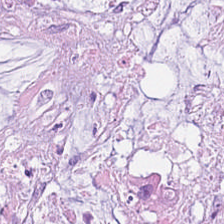Whole-slide-image patch. 0.5 microns per pixel. H&E. The classification is extracellular mucin.
